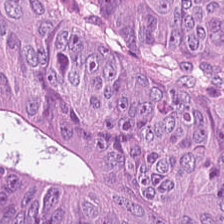H&E stain. Tissue class — colorectal adenocarcinoma.
